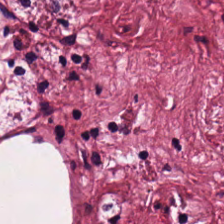H&E; brightfield — The predominant tissue is cancer-associated stroma.
